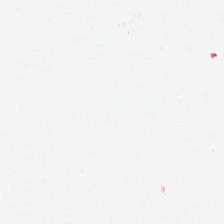Hematoxylin and eosin. Histology → background (no tissue).
